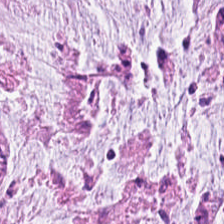Hematoxylin and eosin.
This patch shows extracellular mucin.
